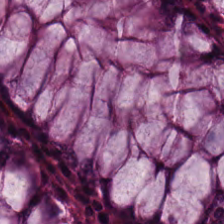H&E stain.
Impression → benign colonic mucosa.
